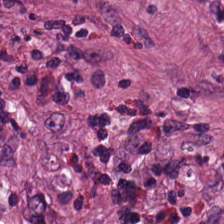Predominant tissue: tumor stroma.
